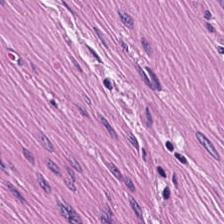H&E-stained tissue section showing smooth muscle.
